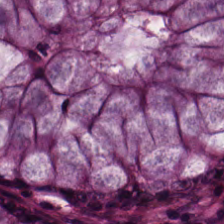224×224 pixel tile. H&E stain — Normal colon mucosa.
